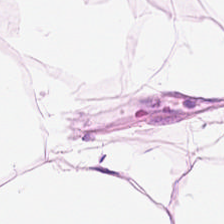Hematoxylin and eosin.
Predominantly adipose tissue.
